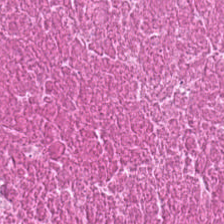H&E stain — Q: What tissue is shown?
A: The field shows necrotic debris.
